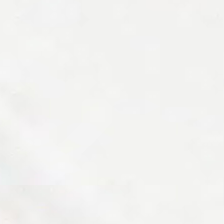No tissue.
